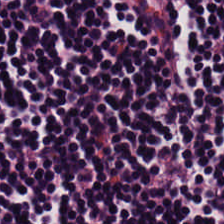H&E-stained tissue section.
Lymphoid infiltrate.
